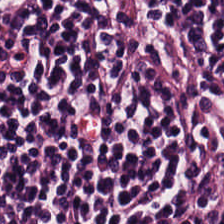Hematoxylin-and-eosin stained section · 224×224 px patch. This patch shows lymphocyte aggregate.
